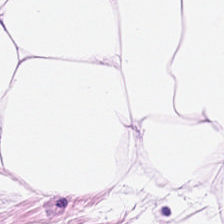H&E patch showing adipose.
